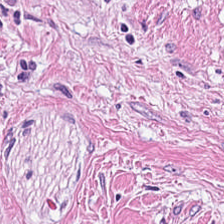H&E-stained tissue section — This field is cancer-associated stroma.
